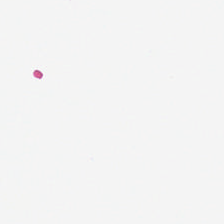Hematoxylin-and-eosin stained section — Impression — no tissue.
